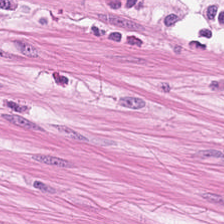H&E-stained tissue section; 20× equivalent magnification.
Histology → muscularis.
